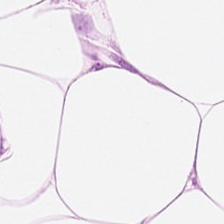FFPE. H&E. This field is adipose.
